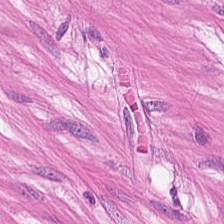0.5 microns per pixel; 224×224 px tile; H&E.
The classification is smooth-muscle tissue.
